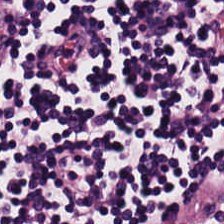The predominant tissue is lymphoid infiltrate.
